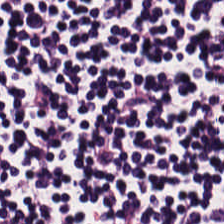The tissue here is lymphocytic infiltrate.
